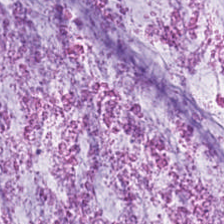Hematoxylin and eosin — Tissue class = mucin.
